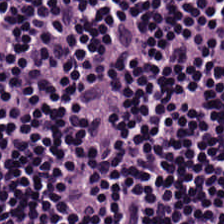H&E-stained tissue section. 0.5 microns per pixel — Classification: lymphocytic infiltrate.
